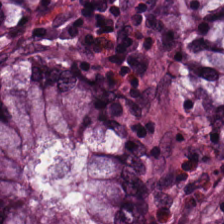H&E-stained tissue section. Brightfield microscopy — Normal colonic mucosa.
